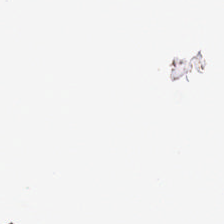H&E-stained tissue section. Q: What is shown in this field?
A: The field shows empty background.
